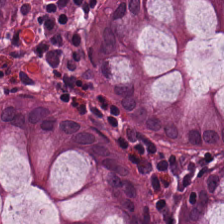H&E-stained tissue section. Predominantly normal colon mucosa.
